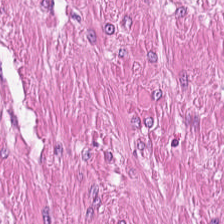Hematoxylin and eosin; 0.5 microns per pixel; WSI patch.
Q: What is shown in this field?
A: It is smooth muscle.
